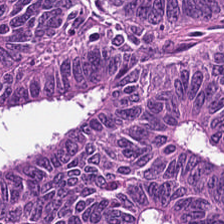Q: What does this patch show?
A: The field shows tumor epithelium.
